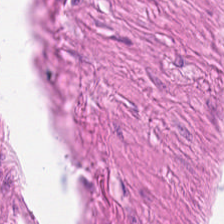Stain: hematoxylin-and-eosin stained section.
Classification: smooth-muscle tissue.
